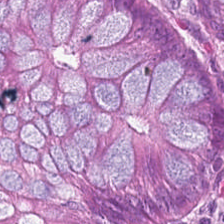H&E-stained tissue section. The predominant tissue is normal colon mucosa.
